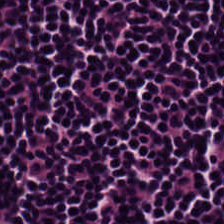H&E stain · WSI patch.
Impression → lymphocyte aggregate.
